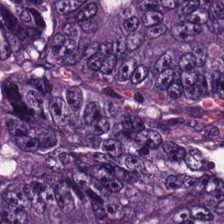Hematoxylin-and-eosin stained section. Predominantly malignant epithelium.
